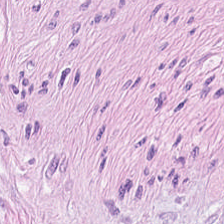224×224 pixel tile · H&E stain.
The predominant tissue is desmoplastic stroma.
